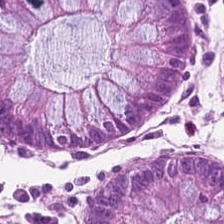H&E stain. Normal colonic mucosa.
